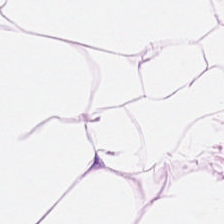FFPE · H&E — Showing adipose tissue.
